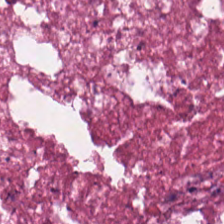H&E; 20× equivalent magnification.
Predominant tissue = debris.
